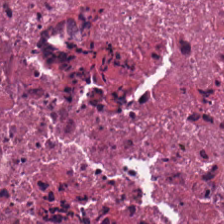Q: What type of tissue is this?
A: The field shows cellular debris.
